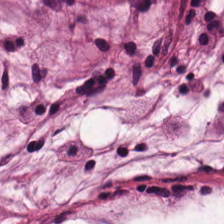Hematoxylin-and-eosin stained section. The predominant tissue is mucus.
